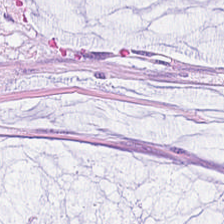Hematoxylin and eosin.
Mucus.
